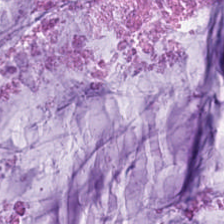FFPE. Hematoxylin-and-eosin stained section. 20× equivalent magnification — Tissue class — extracellular mucin.
